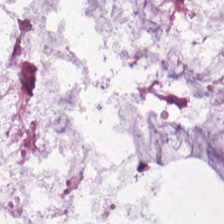Stain: hematoxylin-and-eosin stained section.
Classification: extracellular mucin.
